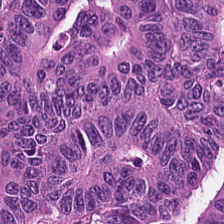Histology → malignant epithelium.
